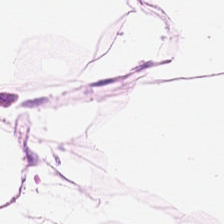Tissue = fat tissue.
